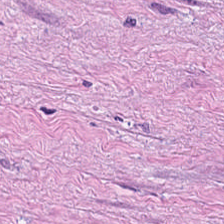H&E. This field is tumor stroma.
